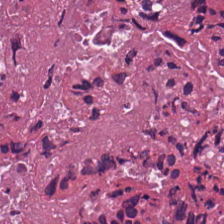224×224 pixel tile. Hematoxylin and eosin.
This patch shows necrotic debris.
